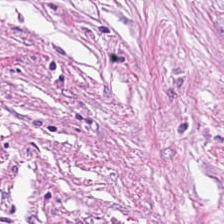Hematoxylin and eosin — Q: What type of tissue is this?
A: The field shows cancer-associated stroma.
